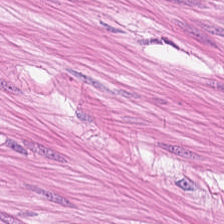0.5 µm per pixel · H&E-stained tissue section · 224×224 px tile. Histology — muscularis.
